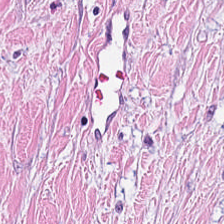Predominant tissue = tumor-associated stroma.
